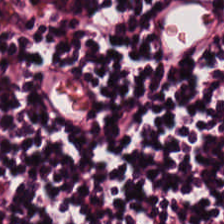H&E. Showing lymphocyte aggregate.
